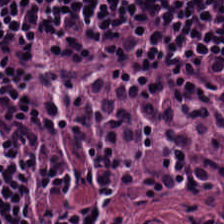224×224 px tile; hematoxylin-and-eosin stained section.
This field is lymphocytes.
